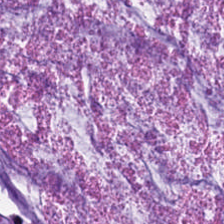The predominant tissue is mucus.
